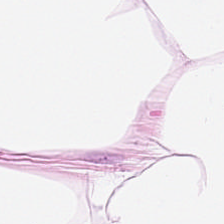FFPE tissue section · H&E stain — {"tissue_type": "fat tissue"}
